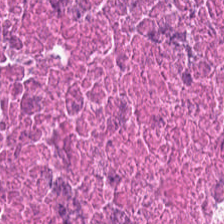H&E.
The predominant tissue is debris.
